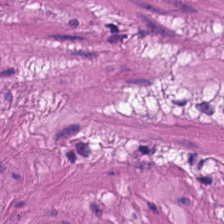Hematoxylin-and-eosin stained section.
Tissue class: smooth-muscle tissue.
